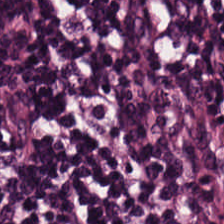H&E. The tissue is lymphocytic infiltrate.
